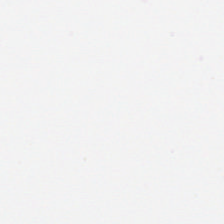Whole-slide-image patch · hematoxylin-and-eosin stained section · FFPE — Q: What is shown here?
A: This is background (no tissue).
